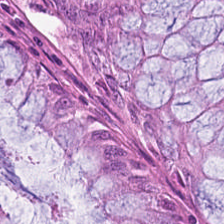224×224 px tile. Hematoxylin and eosin. Classification: benign colonic mucosa.
